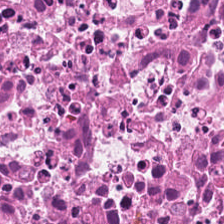Tissue type — necrotic debris.
